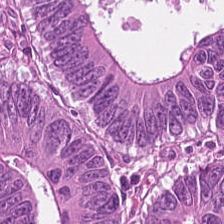224×224 pixel tile. Hematoxylin and eosin. Whole-slide-image patch.
The predominant tissue is malignant epithelium.
